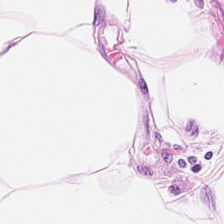0.5 microns per pixel; hematoxylin-and-eosin stained section — Tissue class — adipose.
